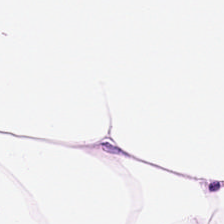Stain: H&E stain.
Predominant tissue: adipose.
